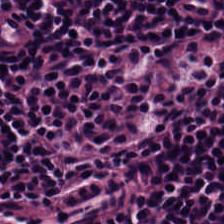H&E stain. Predominant tissue = lymphoid infiltrate.
